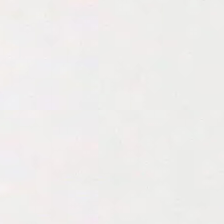Q: Classify this patch.
A: Background (no tissue).
